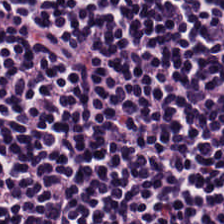224×224 pixel tile; hematoxylin and eosin — Tissue class — lymphocytes.
